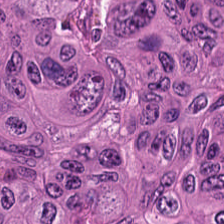Hematoxylin-and-eosin stained section · formalin-fixed paraffin-embedded section — Q: What is shown in this field?
A: Colorectal adenocarcinoma.
